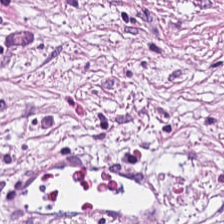{"tissue_type": "tumor stroma"}
